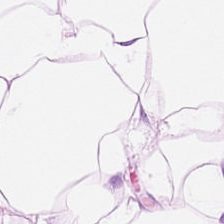0.5 µm per pixel; H&E stain; 224×224 px tile — The tissue is adipose tissue.
